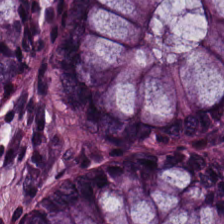0.5 µm/px · 224×224 px patch · H&E stain — The tissue here is benign colonic mucosa.
